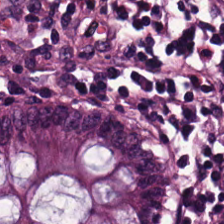Hematoxylin and eosin.
Impression → non-neoplastic colon mucosa.
